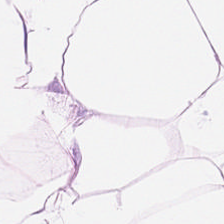Hematoxylin-and-eosin stained section.
Adipose tissue.
